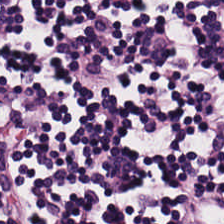Hematoxylin and eosin — The predominant tissue is lymphoid infiltrate.
